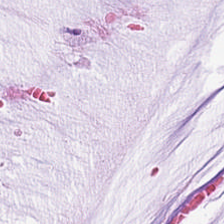Stain: H&E-stained tissue section.
Classification: extracellular mucin.
